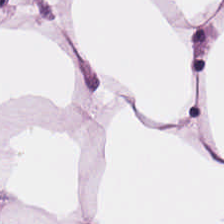H&E. Tissue class = fat tissue.
